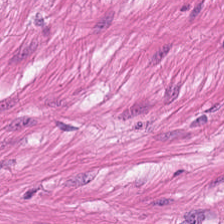H&E-stained tissue section — Predominant tissue = smooth-muscle tissue.
